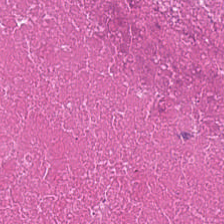H&E-stained tissue section — Showing cellular debris.
